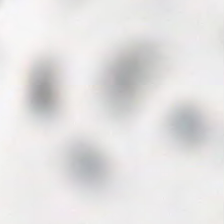H&E stain · 0.5 microns per pixel — Background — no tissue in this field.
